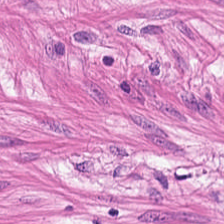Hematoxylin-and-eosin stained section; 0.5 microns per pixel.
The tissue type is smooth-muscle tissue.
